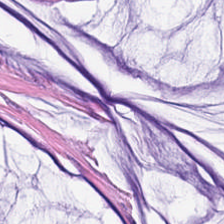Q: What is shown in this field?
A: It is mucus.
